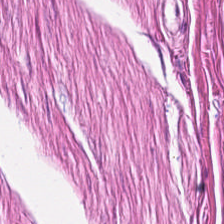Hematoxylin-and-eosin stained section.
Showing smooth muscle.
